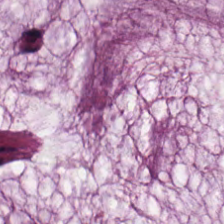Whole-slide-image patch; H&E. Impression → mucus.
